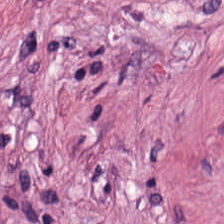H&E stain. Tissue: cancer-associated stroma.
